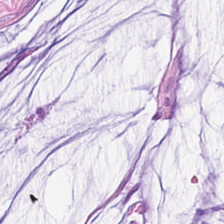H&E stain. Brightfield.
The predominant tissue is mucus.
